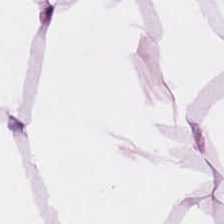H&E — adipose tissue.
